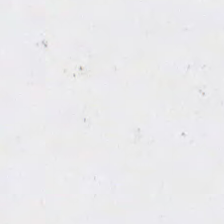Hematoxylin-and-eosin stained section. Formalin-fixed paraffin-embedded section. 20× equivalent magnification — No tissue.
